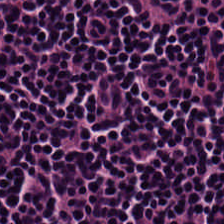H&E — lymphocyte aggregate.
